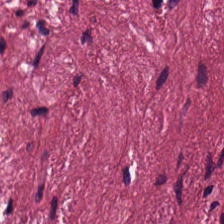H&E-stained tissue section. 224×224 px tile. The predominant tissue is tumor stroma.
